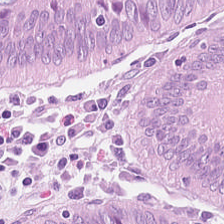0.5 microns per pixel. H&E — The tissue here is benign colonic mucosa.
